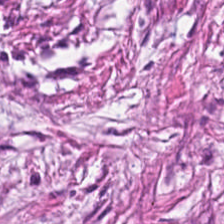H&E.
Tissue: cancer-associated stroma.
